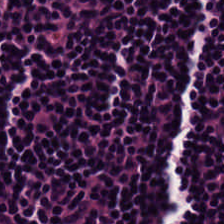H&E-stained tissue section · whole-slide-image patch · 20× equivalent magnification. The tissue here is lymphocytic infiltrate.
